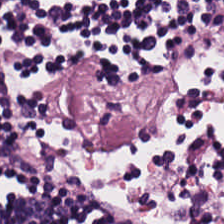Hematoxylin and eosin · 20× equivalent magnification · brightfield. Tissue: lymphocytic infiltrate.
